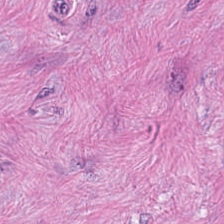Q: Classify this patch.
A: Desmoplastic stroma.
